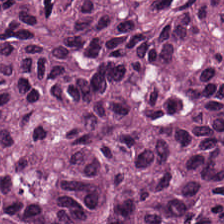H&E-stained tissue section. Tissue — adenocarcinoma.
